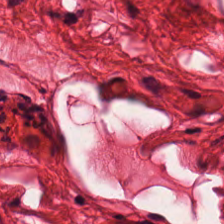H&E-stained tissue section. {"tissue_type": "muscularis"}
